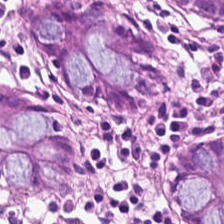0.5 µm/px; hematoxylin-and-eosin stained section.
Finding → non-neoplastic colon mucosa.
